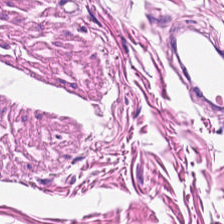Brightfield microscopy. Hematoxylin and eosin.
{"tissue_type": "muscularis"}
